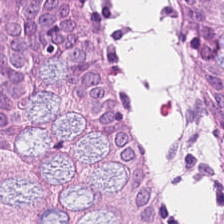The tissue here is normal colonic mucosa.
